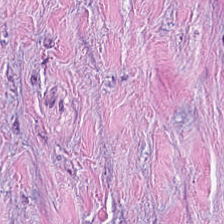H&E stain.
Impression — tumor stroma.
